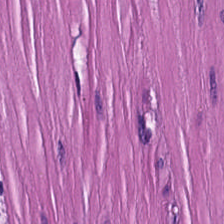H&E; 0.5 µm/px.
Q: What is shown here?
A: The field shows muscularis.
